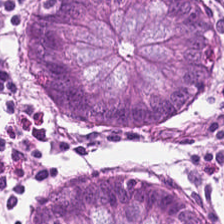Stain: H&E-stained tissue section.
Tissue class: non-neoplastic colon mucosa.
